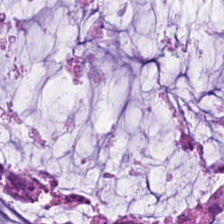Histology → extracellular mucin.
